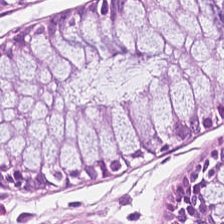H&E stain. {"tissue_type": "non-neoplastic colon mucosa"}
